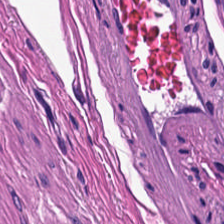224×224 pixel tile; H&E.
Q: What is the predominant tissue type?
A: It is muscularis.
